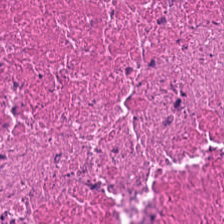Q: What tissue type is shown here?
A: The field shows cellular debris.
